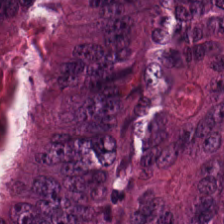224×224 px patch. Hematoxylin-and-eosin stained section.
This field is tumor epithelium.
